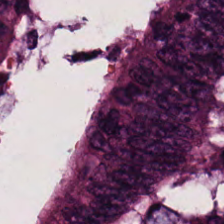Hematoxylin-and-eosin stained section.
{"tissue_type": "colorectal adenocarcinoma epithelium"}
